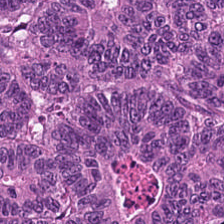The tissue class is colorectal adenocarcinoma epithelium.
